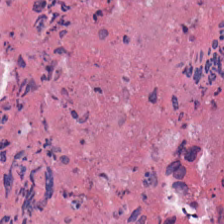224×224 px patch. H&E-stained tissue section. WSI patch.
Impression → necrotic debris.
